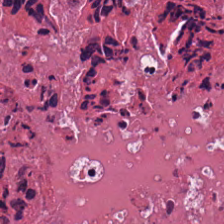H&E; 224×224 pixel tile; FFPE — Showing debris.
